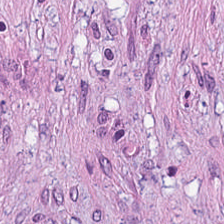H&E stain. Histology — tumor stroma.
